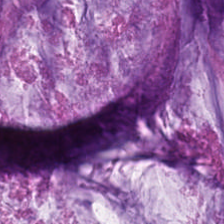Stain: H&E stain.
Resolution: 20× equivalent magnification.
Tissue: extracellular mucin.
